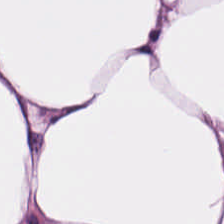H&E stain · 20× equivalent magnification.
Q: What does this patch show?
A: It is fat tissue.
